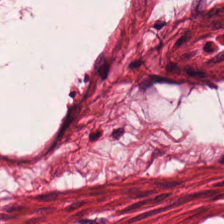H&E stain.
Showing smooth-muscle tissue.
